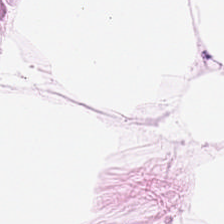H&E-stained tissue section. Whole-slide-image patch.
Showing fat tissue.
